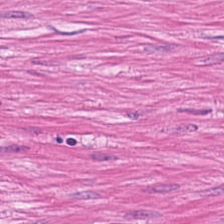H&E patch showing smooth muscle.
